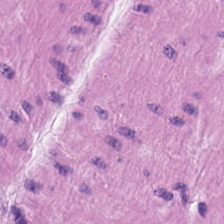H&E-stained tissue section showing smooth muscle.
